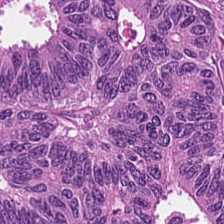H&E-stained tissue section — Tissue class: malignant epithelium.
